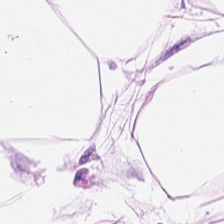Hematoxylin-and-eosin stained section · brightfield.
This patch shows fat tissue.
